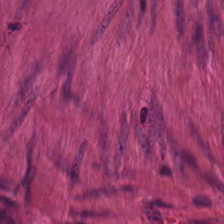Tissue type: muscularis.
